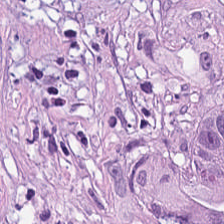Hematoxylin and eosin — The predominant tissue is tumor-associated stroma.
